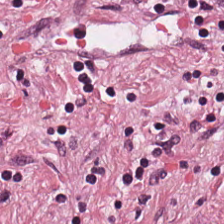Showing tumor stroma.
